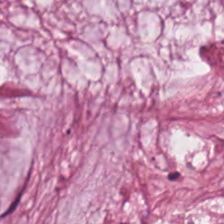Hematoxylin-and-eosin stained section · FFPE tissue section.
This patch shows extracellular mucin.
